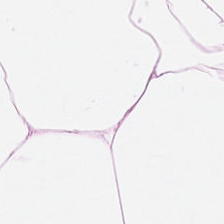Brightfield. 224×224 px patch. Hematoxylin and eosin — The predominant tissue is adipose.
